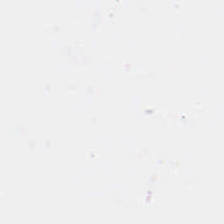This patch shows empty background.
